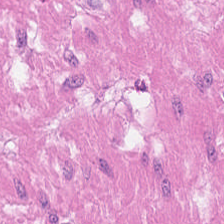H&E — Classification = smooth muscle.
